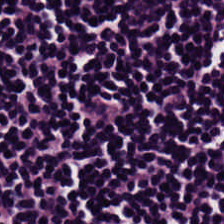H&E-stained tissue section showing lymphocyte aggregate.
